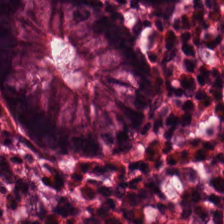H&E stain — Q: What is shown in this field?
A: Non-neoplastic colon mucosa.
